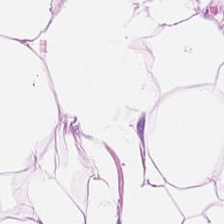Formalin-fixed paraffin-embedded section · 224×224 px tile · H&E stain. Showing adipose.
